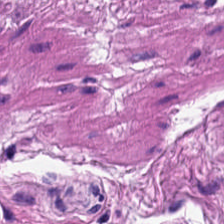H&E-stained tissue section.
Smooth muscle.
